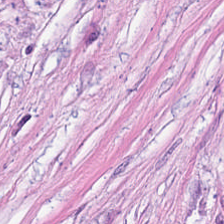0.5 microns per pixel · hematoxylin and eosin · FFPE tissue section.
Q: What tissue type is shown here?
A: This is tumor-associated stroma.
